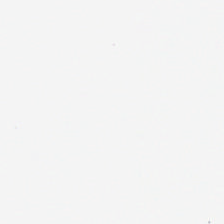Hematoxylin-and-eosin stained section · brightfield microscopy — Classification = background.
